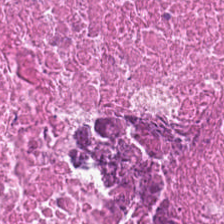Stain: H&E stain.
Preparation: FFPE.
Tile size: 224×224 px tile.
Predominant tissue: necrotic debris.
